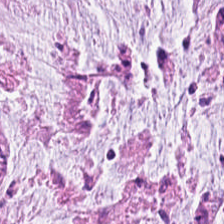H&E — Classification: mucus.
